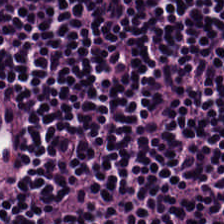H&E stain. FFPE tissue section — This field is lymphocyte aggregate.
